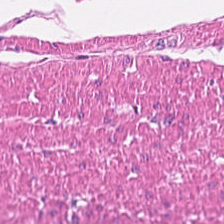H&E-stained tissue section · WSI patch — Muscularis.
